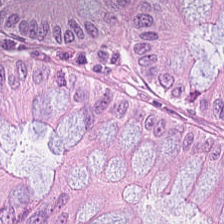Brightfield · hematoxylin-and-eosin stained section — Tissue type = benign colonic mucosa.
